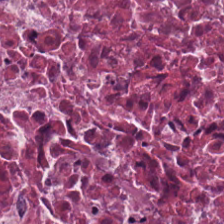Hematoxylin and eosin.
Impression → cellular debris.
